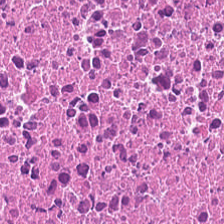H&E-stained tissue section. The tissue is cellular debris.
